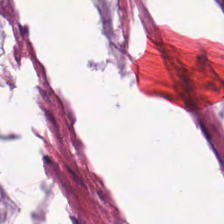Classification — extracellular mucin.
